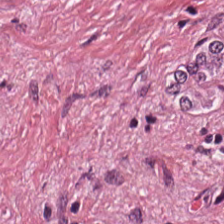Hematoxylin and eosin — Predominant tissue = tumor stroma.
